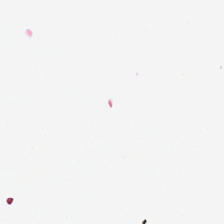Stain: hematoxylin-and-eosin stained section.
Classification: empty background.
